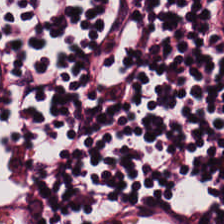H&E. 0.5 microns per pixel. WSI patch — Tissue = lymphocyte aggregate.
